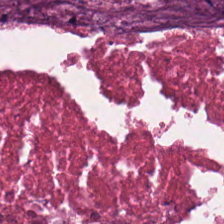Hematoxylin-and-eosin section: necrotic debris.
